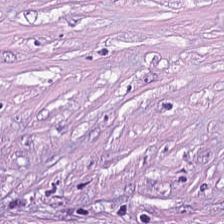224×224 px tile. FFPE tissue section. Hematoxylin-and-eosin stained section. Showing desmoplastic stroma.
